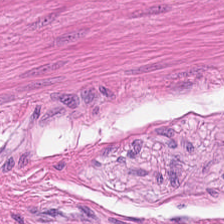H&E — Predominant tissue = smooth-muscle tissue.
